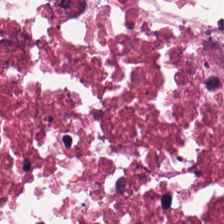Hematoxylin-and-eosin stained section; 224×224 px tile.
Predominant tissue — debris.
